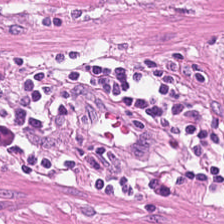Histology → smooth muscle.
